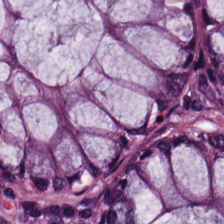0.5 microns per pixel · H&E stain · 224×224 px tile.
Benign colonic mucosa.
